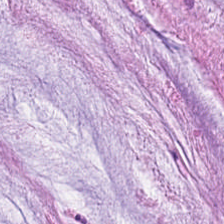Hematoxylin-and-eosin stained section.
Predominantly mucus.
